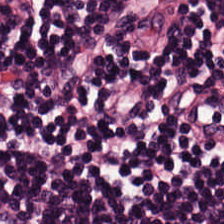H&E-stained tissue section — Impression — lymphocytic infiltrate.
